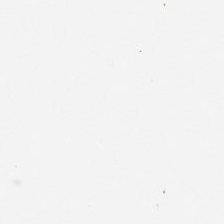H&E · whole-slide-image patch.
Empty field — no tissue.
